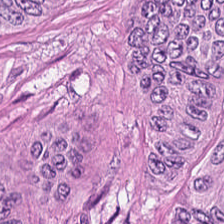H&E-stained tissue section. The predominant tissue is adenocarcinoma.
